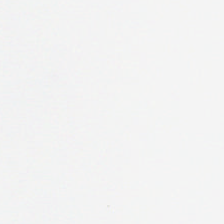H&E-stained tissue section — {"content": "background (no tissue)"}
